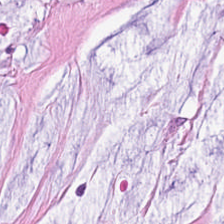Histology — mucus.
